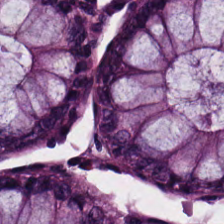Whole-slide-image patch · hematoxylin and eosin · FFPE.
This field is benign colonic mucosa.
